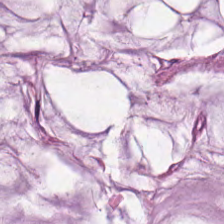224×224 px patch. H&E stain.
Showing extracellular mucin.
